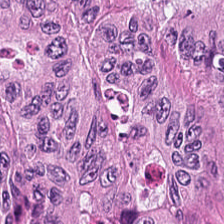224×224 px tile · H&E stain — Colorectal adenocarcinoma epithelium.
